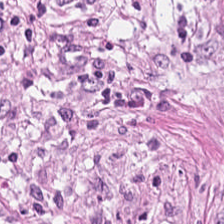0.5 µm per pixel. H&E stain — Showing cancer-associated stroma.
